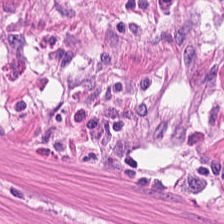WSI patch. Hematoxylin-and-eosin stained section. Predominantly smooth-muscle tissue.
